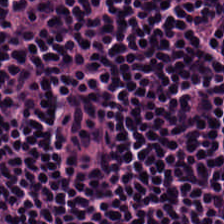0.5 µm/px; hematoxylin and eosin; formalin-fixed paraffin-embedded section — This field is lymphocyte aggregate.
